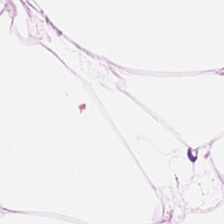224×224 pixel tile · H&E stain — Predominant tissue: fat tissue.
